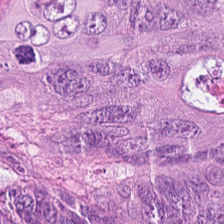H&E. The tissue class is adenocarcinoma.
